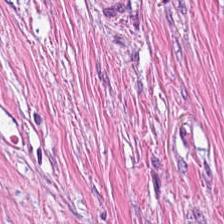Tissue type — desmoplastic stroma.
